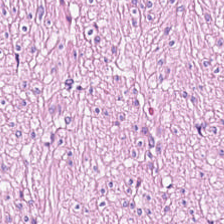Tissue type — muscularis.
